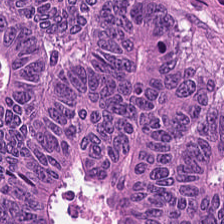Q: What does this patch show?
A: It is malignant epithelium.
